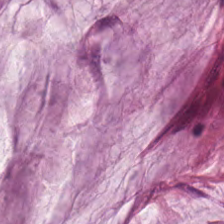H&E; whole-slide-image patch. Classification — extracellular mucin.
